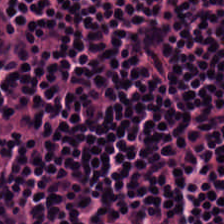Predominantly lymphoid infiltrate.
